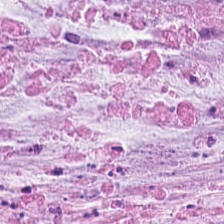H&E; 20× equivalent magnification; 224×224 pixel tile.
The tissue here is mucin.
